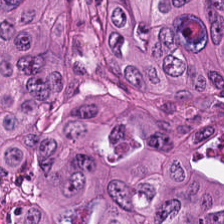H&E-stained tissue section; brightfield.
This patch shows malignant epithelium.
